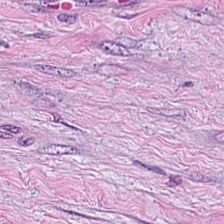224×224 px tile. Formalin-fixed paraffin-embedded section. Hematoxylin-and-eosin stained section.
Tissue class = tumor-associated stroma.
